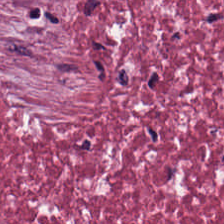H&E. Predominant tissue = tumor stroma.
